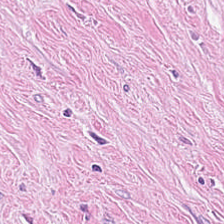{"tissue_type": "tumor-associated stroma"}
